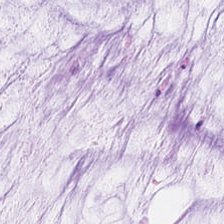Predominant tissue = extracellular mucin.
